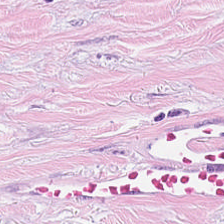H&E. 0.5 microns per pixel. Tissue = tumor-associated stroma.
